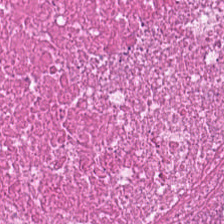H&E — Q: What does this patch show?
A: It is necrotic debris.
